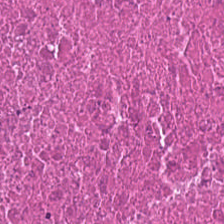Finding — debris.
